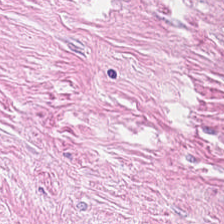The tissue here is cancer-associated stroma.
